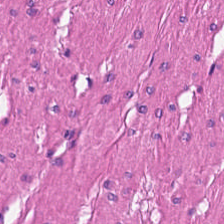Stain: hematoxylin-and-eosin stained section.
Resolution: 0.5 µm/px.
Acquisition: brightfield.
Tissue: smooth muscle.
